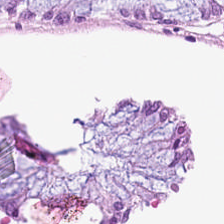Q: What type of tissue is this?
A: It is normal colon mucosa.
